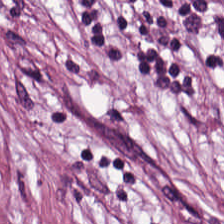Stain: H&E-stained tissue section.
Tissue class: tumor stroma.
